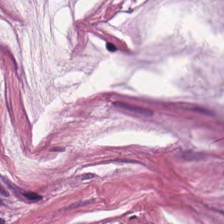H&E.
Q: What is shown here?
A: The field shows mucin.
